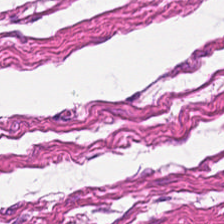H&E stain — Q: What is the predominant tissue type?
A: The field shows muscularis.
